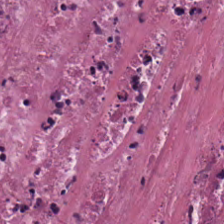224×224 pixel tile · hematoxylin and eosin — Classification = cellular debris.
